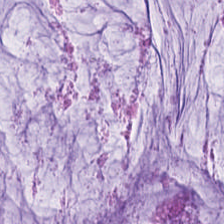Hematoxylin and eosin. Showing extracellular mucin.
